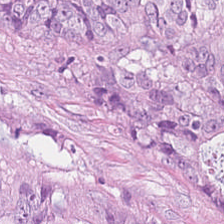H&E-stained tissue section. Brightfield. Tissue type: colorectal adenocarcinoma.
